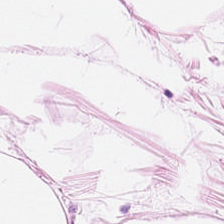Hematoxylin and eosin · 0.5 µm per pixel. Classification: adipocytes.
